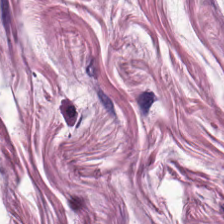Stain: H&E.
Tissue type: smooth muscle.
